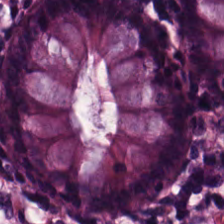Hematoxylin-and-eosin stained section. The predominant tissue is normal colonic mucosa.
